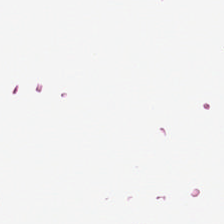H&E — Finding — empty background.
